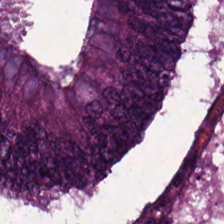Q: What tissue is shown?
A: The field shows colorectal adenocarcinoma epithelium.
